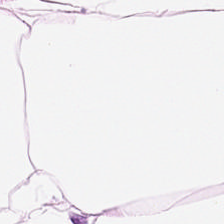H&E-stained tissue section; 224×224 px patch.
Q: What tissue type is shown here?
A: Fat tissue.
